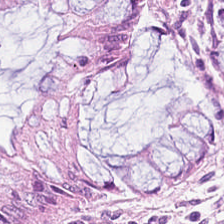Stain: hematoxylin and eosin.
Tile size: 224×224 pixel tile.
Preparation: FFPE.
Tissue type: non-neoplastic colon mucosa.
